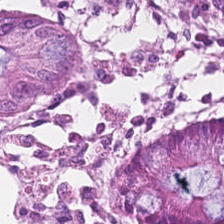Stain: H&E stain.
Resolution: 0.5 µm per pixel.
Tile size: 224×224 px tile.
Tissue: non-neoplastic colon mucosa.
